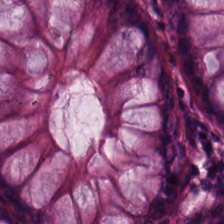Hematoxylin and eosin. Normal colon mucosa.
